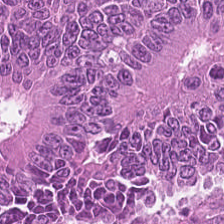Tissue — colorectal adenocarcinoma.
